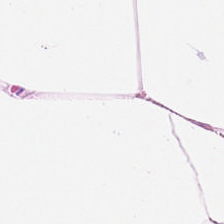Q: What type of tissue is this?
A: It is fat tissue.
